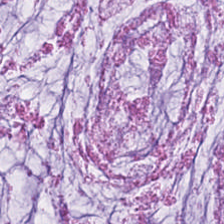H&E. This patch shows mucin.
